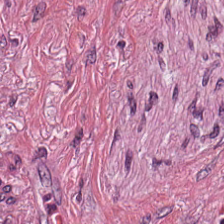H&E.
The tissue here is tumor stroma.
